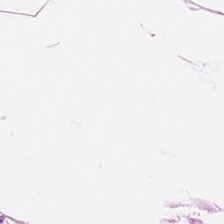Hematoxylin and eosin — Fat tissue.
